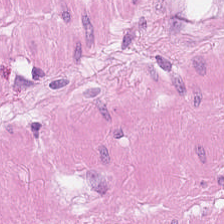Tissue class — smooth muscle.
